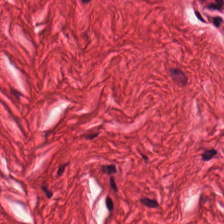H&E. 224×224 px patch — Smooth-muscle tissue.
